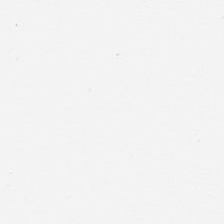Hematoxylin and eosin — The content is background (no tissue).
